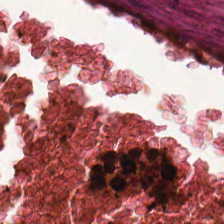Hematoxylin-and-eosin stained section; 0.5 µm/px.
Q: What is shown in this field?
A: It is debris.
